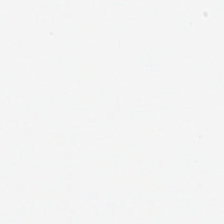H&E. Brightfield. The classification is background.
